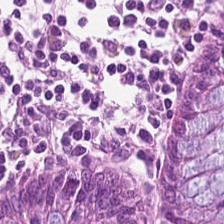0.5 µm per pixel. H&E. Whole-slide-image patch. Benign colonic mucosa.
